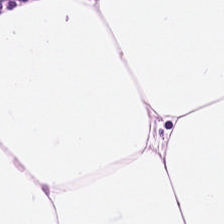H&E; brightfield — This patch shows fat tissue.
